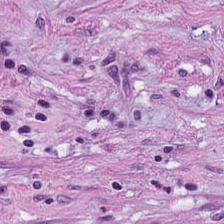Hematoxylin and eosin.
Q: What tissue type is shown here?
A: The field shows tumor stroma.
